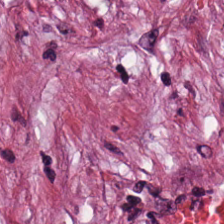H&E · WSI patch.
Showing tumor-associated stroma.
